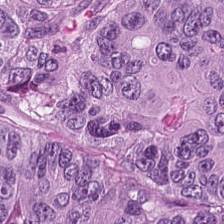Hematoxylin-and-eosin stained section · 20× equivalent magnification · FFPE tissue section — Tissue type = adenocarcinoma.
